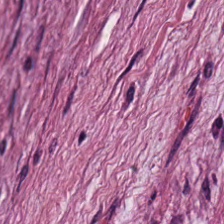0.5 µm per pixel · hematoxylin and eosin — Q: What does this patch show?
A: The field shows desmoplastic stroma.
